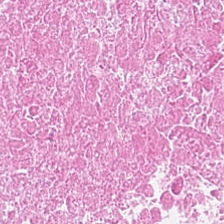This field is cellular debris.
